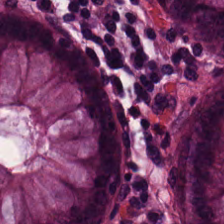Hematoxylin-and-eosin stained section — Predominantly normal colonic mucosa.
